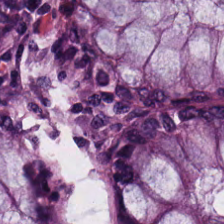H&E-stained tissue section showing non-neoplastic colon mucosa.
